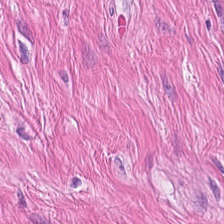H&E. The tissue class is muscularis.
